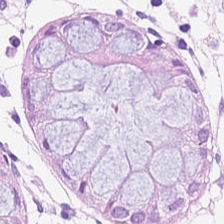H&E stain · FFPE · brightfield.
Predominantly benign colonic mucosa.
